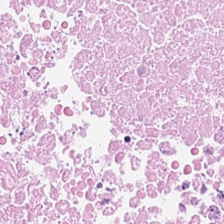Stain: hematoxylin-and-eosin stained section.
Classification: debris.
